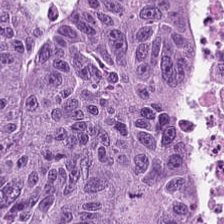Stain: hematoxylin and eosin.
Classification: tumor epithelium.
